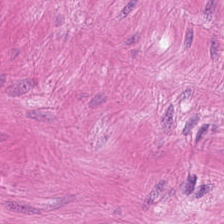Stain: hematoxylin and eosin.
Preparation: FFPE.
Predominant tissue: muscularis.
